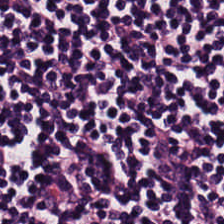The predominant tissue is lymphocytic infiltrate.
